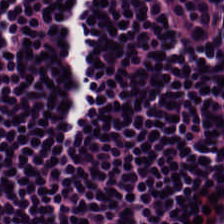H&E. Q: Identify the tissue.
A: It is lymphocytic infiltrate.
